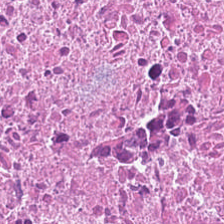H&E — Classification: cellular debris.
